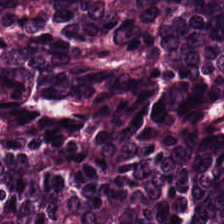Whole-slide-image patch; hematoxylin-and-eosin stained section.
Predominant tissue — tumor epithelium.
